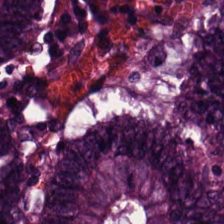224×224 pixel tile · H&E stain. Colorectal adenocarcinoma.
